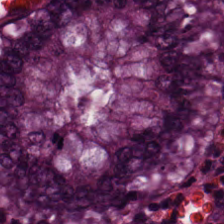0.5 µm/px. Hematoxylin-and-eosin stained section.
Q: What tissue type is shown here?
A: This is normal colon mucosa.
